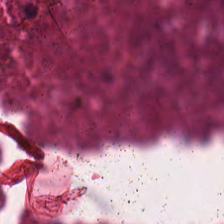Hematoxylin and eosin — Classification = necrotic debris.
